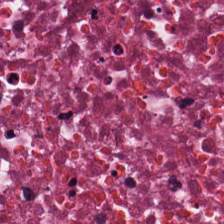Hematoxylin-and-eosin stained section. FFPE tissue section. Finding → debris.
